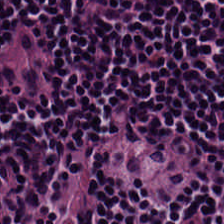Hematoxylin and eosin — Tissue type: lymphocyte aggregate.
